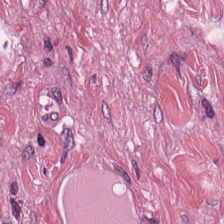Hematoxylin and eosin.
Predominant tissue = tumor stroma.
